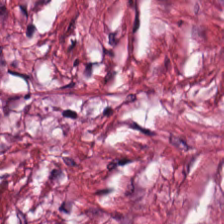0.5 µm per pixel. H&E. Brightfield.
Predominantly tumor stroma.
